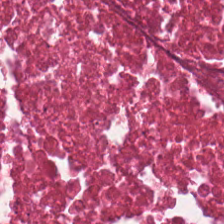The predominant tissue is cellular debris.
